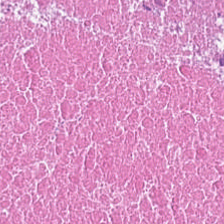0.5 µm per pixel; hematoxylin and eosin.
Q: What is shown here?
A: This is debris.
